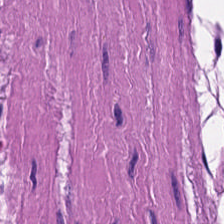H&E.
Showing smooth muscle.
